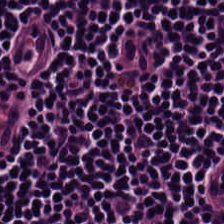H&E.
Predominant tissue — lymphocytes.
